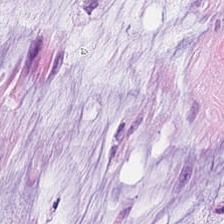Hematoxylin-and-eosin stained section — The classification is mucin.
